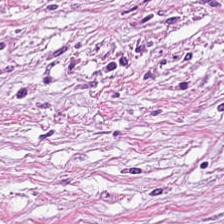H&E-stained tissue section; 0.5 µm/px — This field is desmoplastic stroma.
